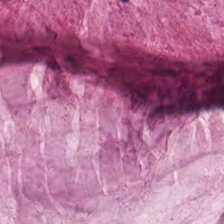Classification = mucus.
